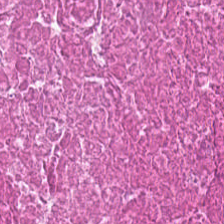224×224 px tile. H&E. Brightfield. {"tissue_type": "debris"}
